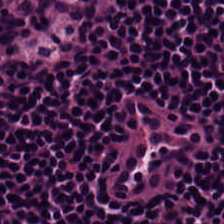Tissue class = lymphocytes.
